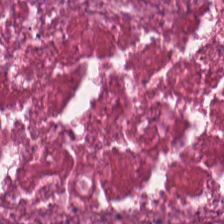Stain: hematoxylin and eosin.
Predominant tissue: debris.
